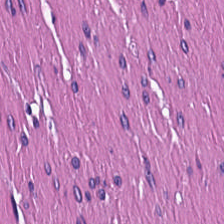H&E-stained tissue section; FFPE tissue section. Impression — smooth muscle.
